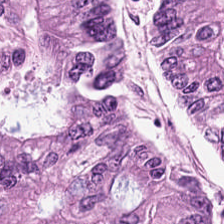Tissue class = tumor epithelium.
